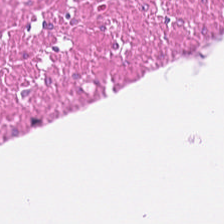The tissue class is smooth muscle.
